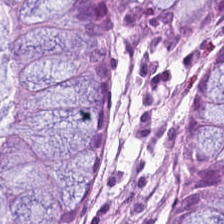Hematoxylin-and-eosin stained section — The tissue here is non-neoplastic colon mucosa.
